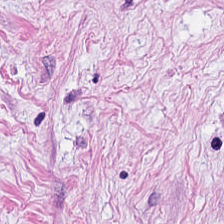Hematoxylin and eosin; 0.5 µm/px — This field is cancer-associated stroma.
